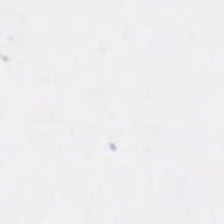This patch shows empty background.
